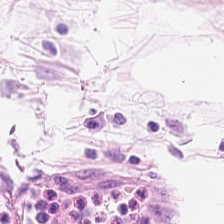Hematoxylin and eosin.
The tissue here is adipose.
